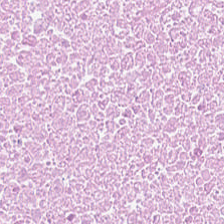Stain: H&E-stained tissue section.
Tissue type: debris.
